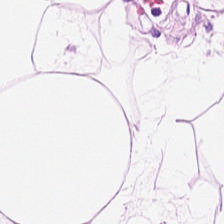Brightfield microscopy · hematoxylin-and-eosin stained section · 224×224 pixel tile. Predominant tissue — adipose.
